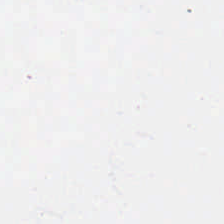Content = background.
